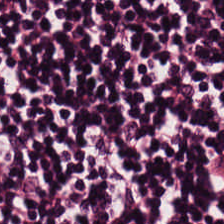0.5 microns per pixel. H&E. Lymphocyte aggregate.
